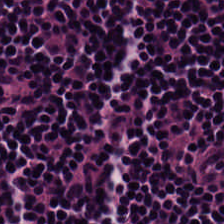Hematoxylin and eosin.
Showing lymphocytic infiltrate.
